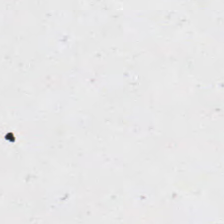WSI patch; H&E; FFPE tissue section.
Classification = empty background.
